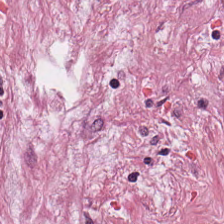Brightfield microscopy. H&E-stained tissue section — {"tissue_type": "tumor stroma"}
